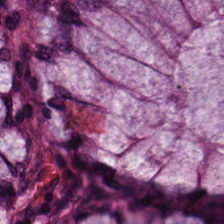Hematoxylin-and-eosin stained section. Brightfield microscopy. Q: What type of tissue is this?
A: This is normal colonic mucosa.
